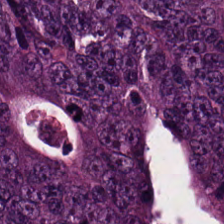Hematoxylin-and-eosin section: adenocarcinoma.
